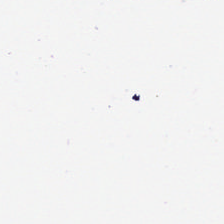Field content = no tissue.
